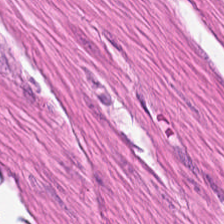Predominantly smooth muscle.
